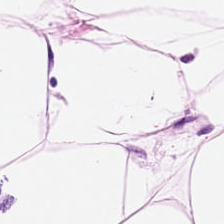0.5 microns per pixel. Hematoxylin and eosin. Formalin-fixed paraffin-embedded section. Tissue type: fat tissue.
